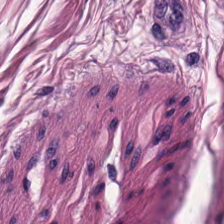H&E stain — The tissue here is muscularis.
